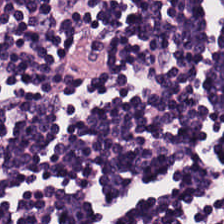Stain: hematoxylin and eosin.
Tissue class: lymphoid infiltrate.
